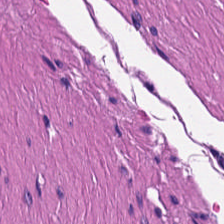Q: Classify this patch.
A: Smooth muscle.
